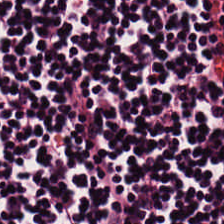Hematoxylin-and-eosin stained section. Predominantly lymphoid infiltrate.
